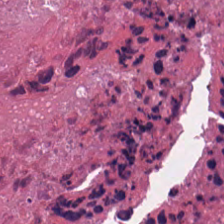Whole-slide-image patch. Hematoxylin-and-eosin stained section. 224×224 px tile — Tissue — debris.
